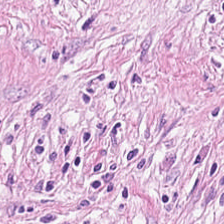H&E stain.
Tissue type: tumor stroma.
